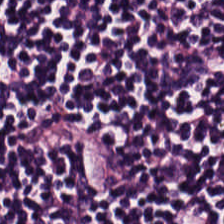H&E. Brightfield. FFPE.
Finding → lymphocytes.
